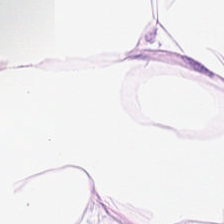Q: Classify this patch.
A: The field shows adipose tissue.
